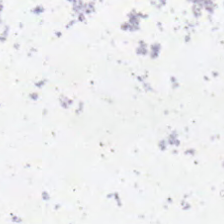H&E — Empty background.
